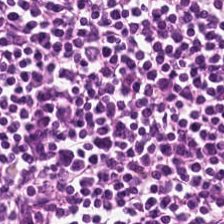H&E. 224×224 px tile. Q: Identify the tissue.
A: This is lymphocyte aggregate.
